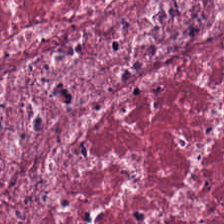H&E. 224×224 px patch.
Tissue = desmoplastic stroma.
